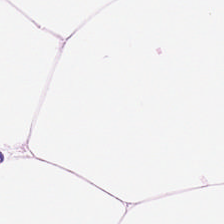{"tissue_type": "fat tissue"}
